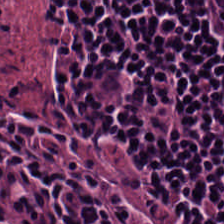Q: Classify this patch.
A: The field shows lymphoid infiltrate.
